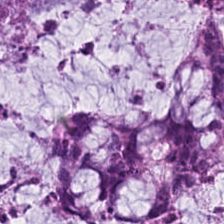Stain: H&E.
Tile size: 224×224 pixel tile.
Predominant tissue: mucin.
